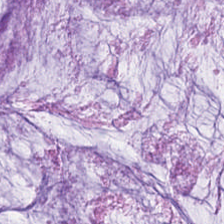Brightfield microscopy. H&E-stained tissue section. 0.5 microns per pixel.
Q: What tissue is shown?
A: It is mucin.
